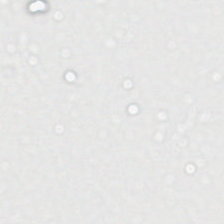Hematoxylin and eosin; FFPE; 20× equivalent magnification.
This field is background (no tissue).
